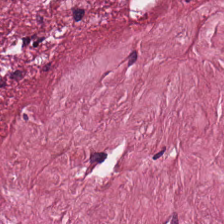WSI patch; hematoxylin and eosin.
The predominant tissue is cancer-associated stroma.
